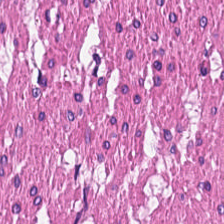Stain: H&E-stained tissue section.
Tile size: 224×224 pixel tile.
Tissue type: smooth-muscle tissue.
